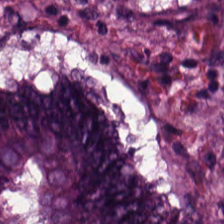H&E; 20× equivalent magnification; WSI patch.
Histology — malignant epithelium.
